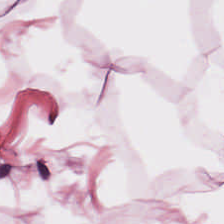Stain: hematoxylin-and-eosin stained section.
Tile size: 224×224 pixel tile.
Resolution: 0.5 µm/px.
Predominant tissue: adipocytes.
